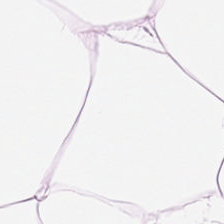Stain: H&E.
Tissue class: adipocytes.
